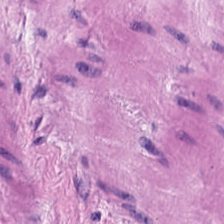Stain: hematoxylin-and-eosin stained section.
Tissue: muscularis.
